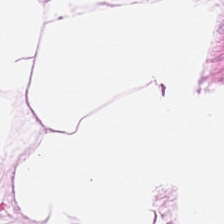Hematoxylin and eosin — This patch shows adipose tissue.
